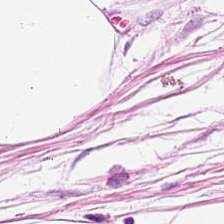Tissue type — fat tissue.
